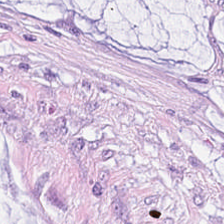224×224 px patch. Hematoxylin-and-eosin stained section — Tissue = mucin.
